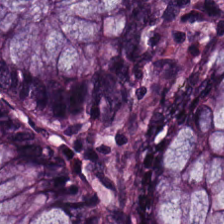Hematoxylin-and-eosin stained section — Tissue class — normal colon mucosa.
